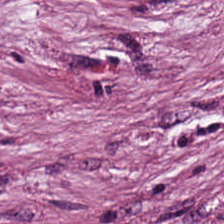Hematoxylin and eosin.
Finding — tumor-associated stroma.
